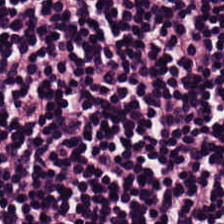Finding → lymphocytes.
